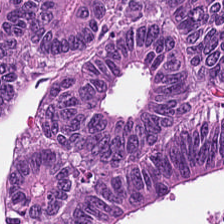0.5 µm/px. H&E stain. 224×224 px patch. Showing colorectal adenocarcinoma epithelium.
